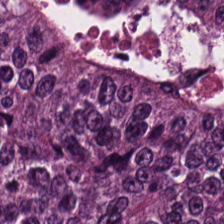Stain: H&E-stained tissue section.
Acquisition: WSI patch.
Predominant tissue: tumor epithelium.
